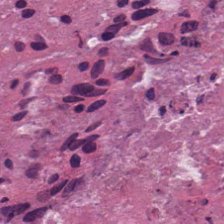FFPE tissue section · H&E-stained tissue section · 0.5 µm/px.
The tissue class is cellular debris.
